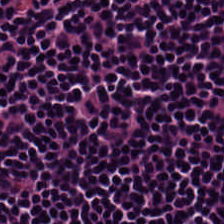Whole-slide-image patch. FFPE tissue section. Hematoxylin-and-eosin stained section. Predominantly lymphocytic infiltrate.
